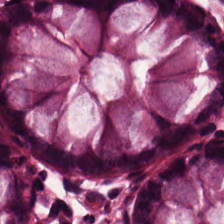H&E-stained tissue section — Normal colon mucosa.
